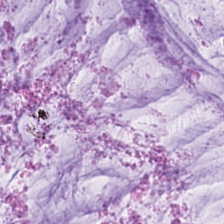Stain: hematoxylin-and-eosin stained section.
Acquisition: brightfield.
Predominant tissue: extracellular mucin.
